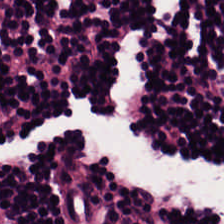H&E-stained section; the field shows lymphocyte aggregate.
